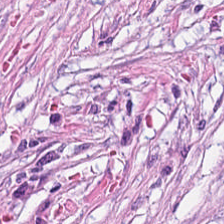224×224 px patch; formalin-fixed paraffin-embedded section; hematoxylin and eosin.
This patch shows tumor stroma.
